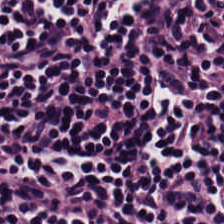Histology — lymphoid infiltrate.
